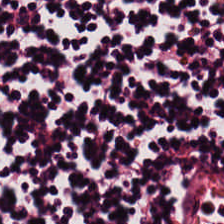Stain: H&E-stained tissue section.
Predominant tissue: lymphoid infiltrate.
